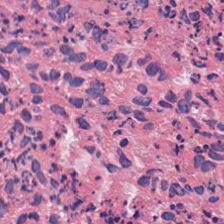H&E-stained tissue section. {"tissue_type": "debris"}
